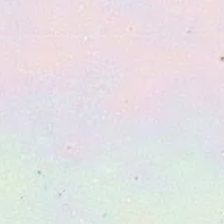Hematoxylin and eosin. No tissue present; background only.
